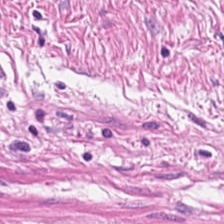Predominant tissue — smooth-muscle tissue.
